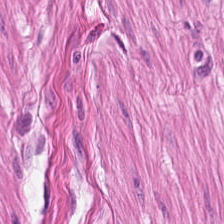H&E. This patch shows muscularis.
